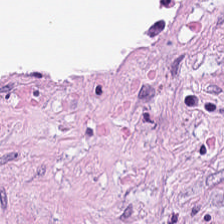Impression — desmoplastic stroma.
